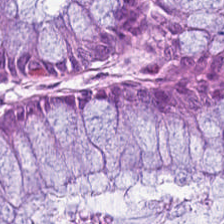Q: Identify the tissue.
A: The field shows normal colonic mucosa.
